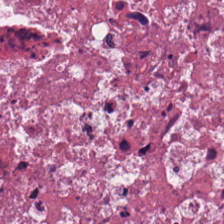H&E patch showing necrotic debris.
